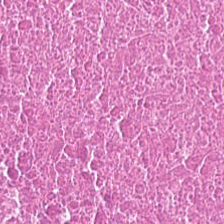H&E.
Tissue = debris.
